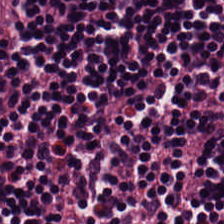20× equivalent magnification · hematoxylin-and-eosin stained section · brightfield microscopy.
Predominantly lymphocyte aggregate.
